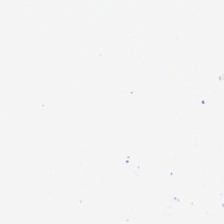H&E-stained tissue section — Q: What does this patch show?
A: Empty background.
